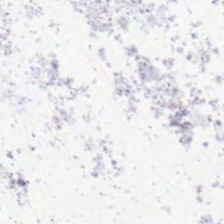Field content = background.
